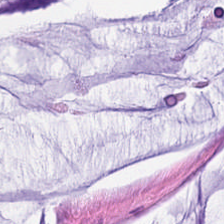FFPE; hematoxylin and eosin. Predominant tissue: mucus.
